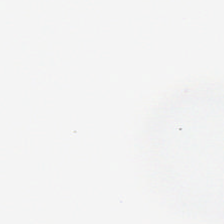Brightfield; 0.5 µm/px; H&E stain.
Q: What does this patch show?
A: Background (no tissue).
